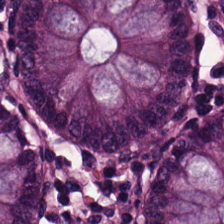Stain: H&E stain.
Tissue type: non-neoplastic colon mucosa.
